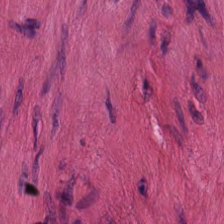Stain: H&E.
Preparation: formalin-fixed paraffin-embedded section.
Classification: smooth muscle.
